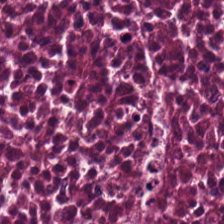Hematoxylin and eosin. The predominant tissue is debris.
